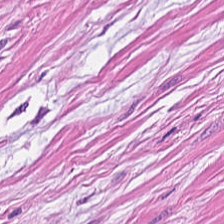FFPE tissue section · H&E stain. Smooth muscle.
